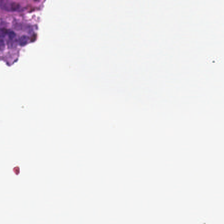H&E; brightfield.
Classification = background.
